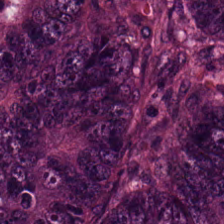Q: What tissue is shown?
A: Tumor epithelium.
